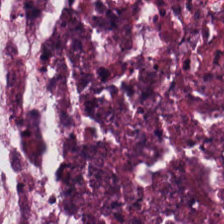H&E-stained tissue section. Necrotic debris.
